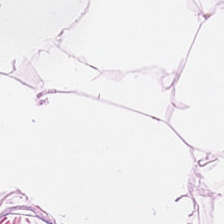FFPE; brightfield microscopy; hematoxylin-and-eosin stained section. Q: What is the predominant tissue type?
A: It is adipose.
